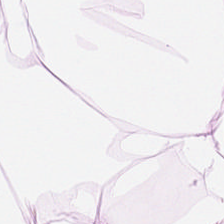H&E — Showing adipocytes.
